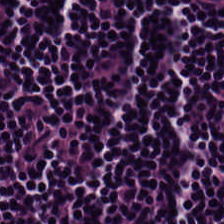H&E-stained tissue section; brightfield microscopy.
Finding → lymphoid infiltrate.
